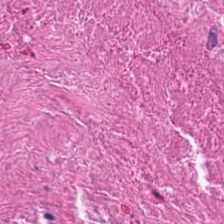The tissue is debris.
